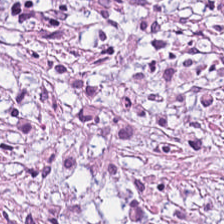Hematoxylin and eosin — Tissue type — tumor-associated stroma.
